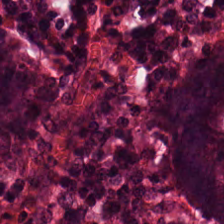Hematoxylin-and-eosin stained section. This field is normal colon mucosa.
